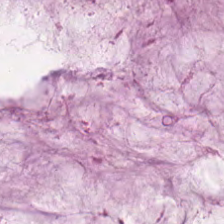H&E-stained tissue section; brightfield; 20× equivalent magnification — Tissue: mucin.
